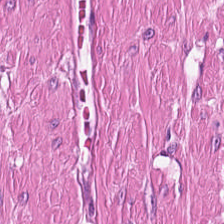224×224 pixel tile. Hematoxylin and eosin — {"tissue_type": "smooth muscle"}
